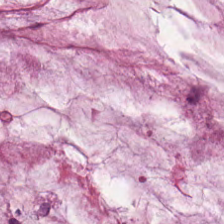Impression → mucin.
